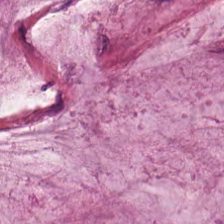Tissue — mucus.
